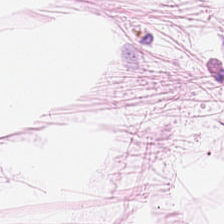Hematoxylin and eosin — Tissue class: adipose.
